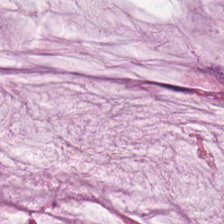H&E stain.
This field is mucus.
